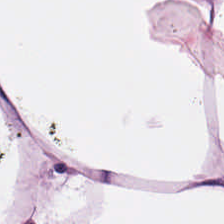Tissue class = adipocytes.
